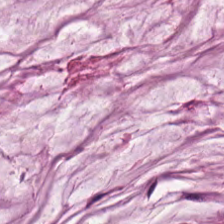Hematoxylin and eosin. Q: What does this patch show?
A: Mucin.
